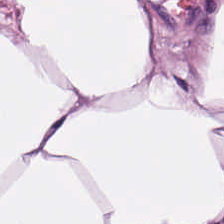Stain: H&E-stained tissue section.
Acquisition: WSI patch.
Preparation: FFPE.
Tissue: adipose tissue.
